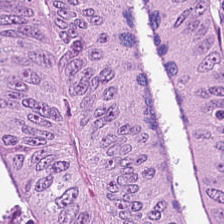H&E stain. Q: What is the predominant tissue type?
A: This is colorectal adenocarcinoma.
